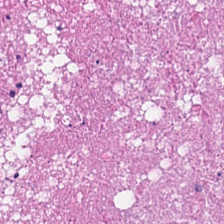0.5 µm per pixel · hematoxylin-and-eosin stained section — Classification = cellular debris.
